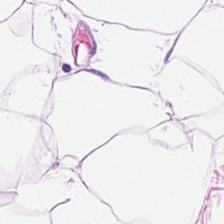Hematoxylin and eosin. Classification — fat tissue.
